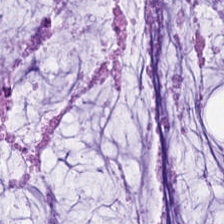224×224 px tile · hematoxylin and eosin — {"tissue_type": "mucus"}
